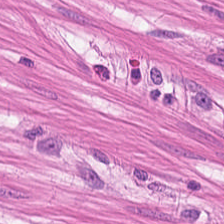H&E stain. Tissue class: smooth-muscle tissue.
